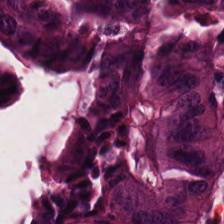The tissue type is adenocarcinoma.
